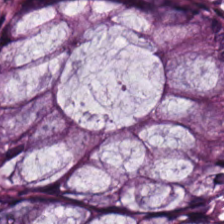H&E-stained tissue section.
Finding → non-neoplastic colon mucosa.
